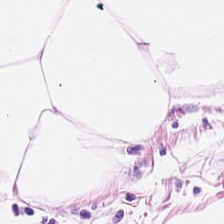Hematoxylin and eosin. 224×224 px tile. Q: What tissue is shown?
A: It is fat tissue.
